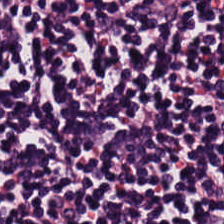0.5 µm per pixel. H&E stain. FFPE tissue section.
Q: What is shown in this field?
A: It is lymphocyte aggregate.
